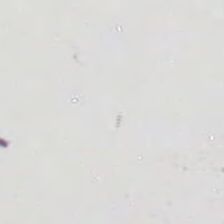The classification is background.
